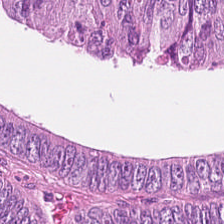Stain: hematoxylin-and-eosin stained section.
Acquisition: brightfield microscopy.
Resolution: 0.5 µm/px.
Classification: colorectal adenocarcinoma.
